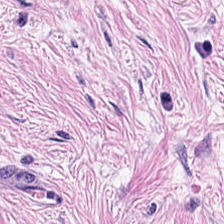Tissue type: cancer-associated stroma.
